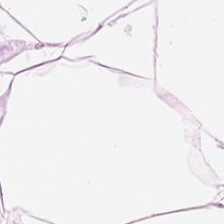H&E-stained tissue section — The predominant tissue is adipocytes.
